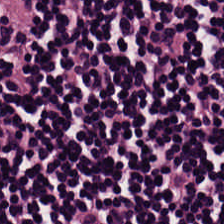Stain: H&E stain.
Classification: lymphocytic infiltrate.
